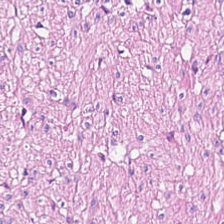This patch shows smooth-muscle tissue.
